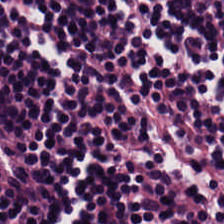H&E-stained tissue section. The tissue type is lymphocytes.
